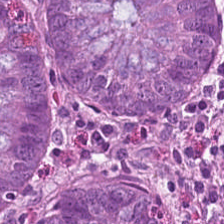H&E-stained tissue section · 20× equivalent magnification — The tissue here is normal colon mucosa.
